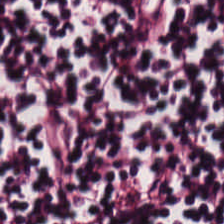H&E stain · 0.5 microns per pixel · 224×224 px tile. Q: What tissue is shown?
A: The field shows lymphoid infiltrate.
